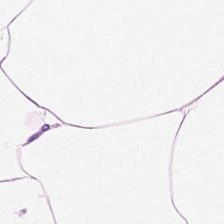Stain: H&E-stained tissue section.
Tissue type: adipocytes.
